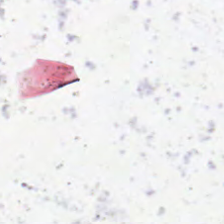{"content": "no tissue"}
